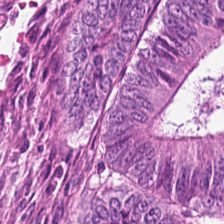H&E-stained tissue section showing colorectal adenocarcinoma.
